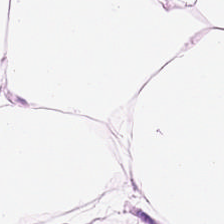H&E-stained tissue section — Predominantly adipose.
